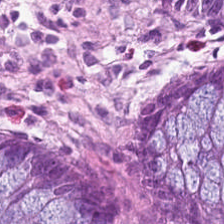Stain: H&E.
Preparation: FFPE.
Classification: normal colonic mucosa.
